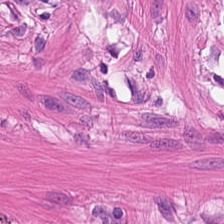Tissue class = smooth-muscle tissue.
